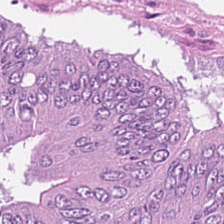Hematoxylin-and-eosin stained section · brightfield. The tissue here is malignant epithelium.
